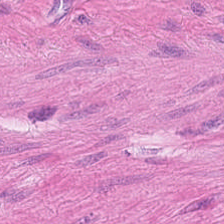Stain: H&E stain.
Tissue: smooth-muscle tissue.
